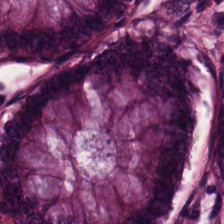H&E-stained tissue section showing normal colon mucosa.
